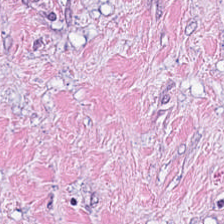H&E · 224×224 pixel tile · whole-slide-image patch — This patch shows desmoplastic stroma.
